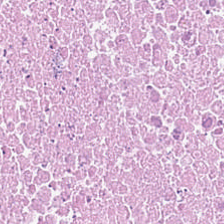H&E — debris.
